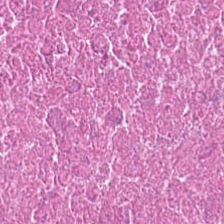Whole-slide-image patch. H&E.
Tissue class: cellular debris.
